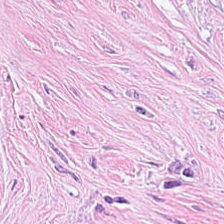Tissue type: tumor stroma.
